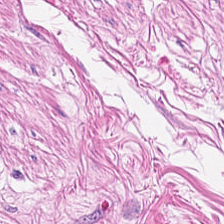Impression — smooth muscle.
